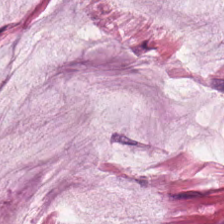Q: Classify this patch.
A: This is extracellular mucin.
